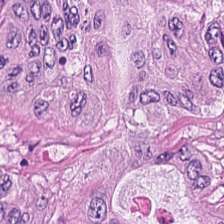H&E.
Predominantly colorectal adenocarcinoma.
